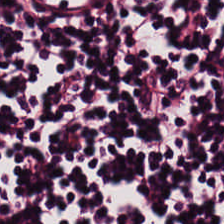Lymphocytes.
